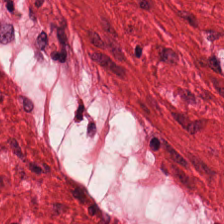This patch shows smooth muscle.
